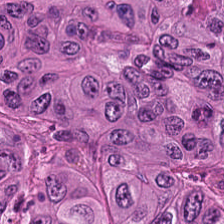WSI patch; hematoxylin and eosin.
Colorectal adenocarcinoma.
